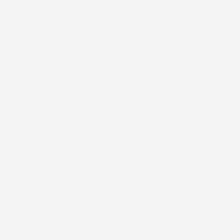Hematoxylin-and-eosin stained section · 224×224 px tile. Empty field — empty background.
